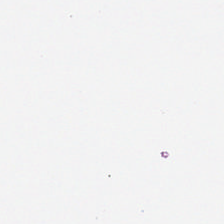{"content": "background (no tissue)"}
